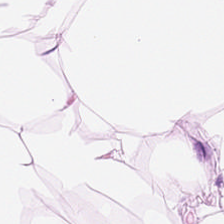H&E-stained tissue section · brightfield microscopy — Adipose.
